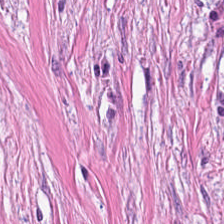H&E stain.
Finding — tumor-associated stroma.
